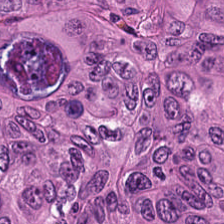H&E-stained tissue section.
Predominantly adenocarcinoma.
